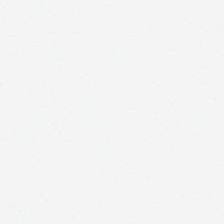Background — no tissue in this field.
